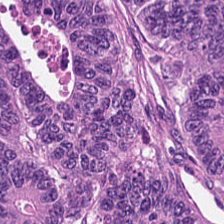224×224 pixel tile · hematoxylin and eosin — Q: What tissue type is shown here?
A: Colorectal adenocarcinoma epithelium.
